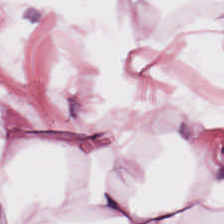Stain: hematoxylin and eosin.
Predominant tissue: adipocytes.
